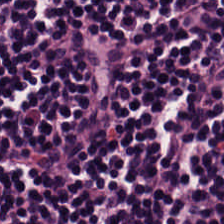FFPE tissue section · brightfield · H&E stain. The predominant tissue is lymphoid infiltrate.
